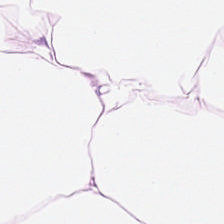Stain: H&E stain.
Tissue class: fat tissue.
